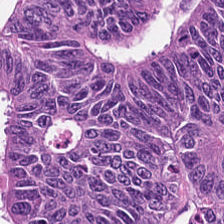Whole-slide-image patch; hematoxylin and eosin — Q: What type of tissue is this?
A: It is colorectal adenocarcinoma epithelium.
